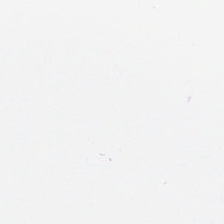Field content = empty background.
